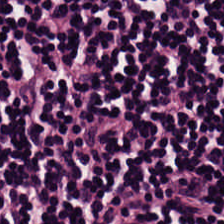This field is lymphocyte aggregate.
